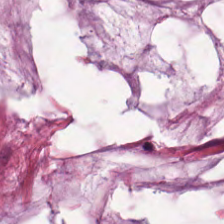H&E; brightfield. Tissue type — extracellular mucin.
